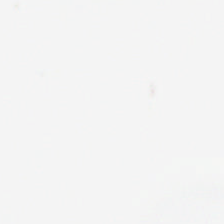Stain: hematoxylin and eosin.
Content: no tissue.
